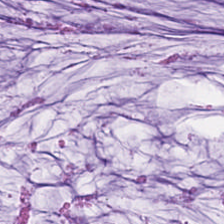H&E-stained tissue section — Predominant tissue: extracellular mucin.
